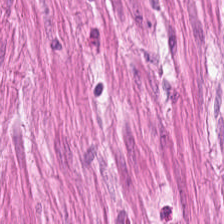H&E; 0.5 microns per pixel.
This patch shows smooth-muscle tissue.
